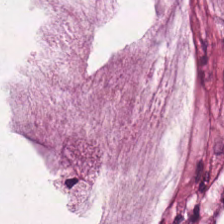Stain: H&E.
Acquisition: brightfield microscopy.
Tissue: mucus.
